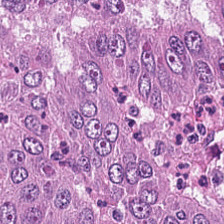Hematoxylin-and-eosin stained section. Showing colorectal adenocarcinoma epithelium.
